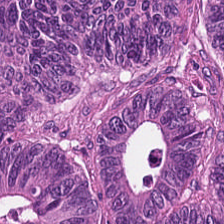H&E stain.
The tissue type is malignant epithelium.
